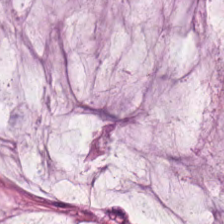Formalin-fixed paraffin-embedded section · H&E stain — Q: What does this patch show?
A: It is extracellular mucin.
